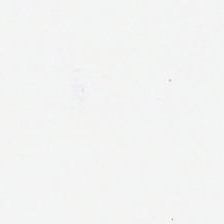Hematoxylin and eosin.
No tissue present; background only.
